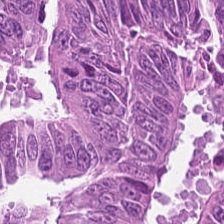Brightfield. Hematoxylin and eosin. FFPE tissue section.
Tissue type: adenocarcinoma.
